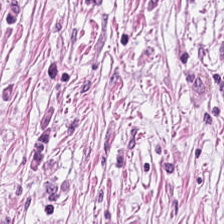Predominant tissue: tumor stroma.
